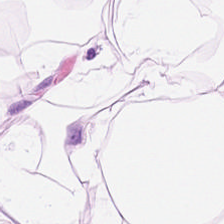H&E-stained tissue section. Q: Classify this patch.
A: Adipocytes.
